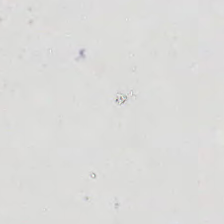H&E. 0.5 µm per pixel.
This field is background (no tissue).
